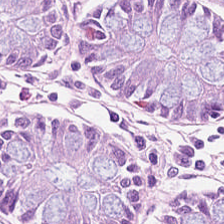H&E stain — This field is normal colonic mucosa.
